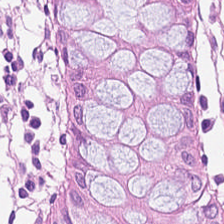H&E-stained tissue section. The predominant tissue is normal colonic mucosa.
